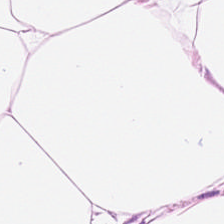Formalin-fixed paraffin-embedded section · 224×224 px tile · hematoxylin and eosin — {"tissue_type": "fat tissue"}
